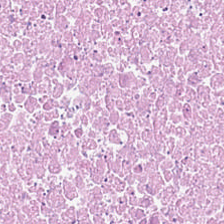Q: What tissue is shown?
A: It is necrotic debris.
